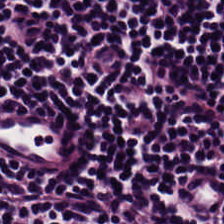Stain: hematoxylin-and-eosin stained section.
Tissue type: lymphoid infiltrate.
